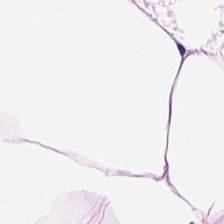Stain: hematoxylin-and-eosin stained section.
Tile size: 224×224 pixel tile.
Classification: fat tissue.
